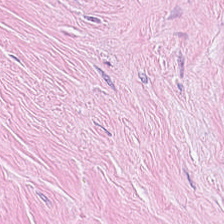Finding → desmoplastic stroma.
